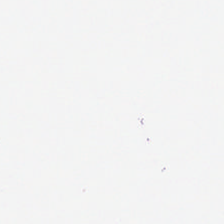Hematoxylin and eosin.
Q: Classify this patch.
A: The field shows background.
